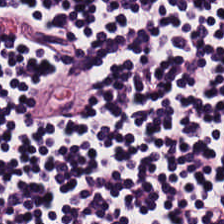Hematoxylin-and-eosin stained section. WSI patch. Q: Identify the tissue.
A: The field shows lymphoid infiltrate.
